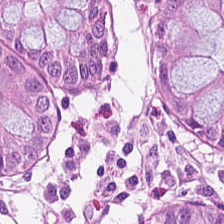Hematoxylin and eosin — Histology — non-neoplastic colon mucosa.
